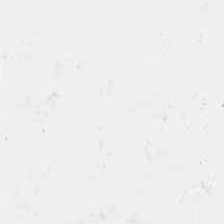H&E. 0.5 µm per pixel — No tissue present; background only.
